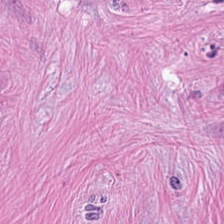0.5 µm/px. H&E stain. Brightfield. {"tissue_type": "cancer-associated stroma"}
